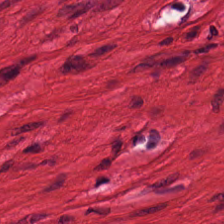224×224 pixel tile · hematoxylin-and-eosin stained section.
Tissue class — smooth-muscle tissue.
